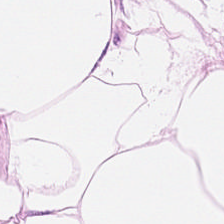H&E stain — {"tissue_type": "fat tissue"}
